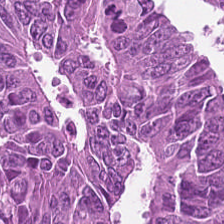H&E. Formalin-fixed paraffin-embedded section. Brightfield.
Histology — colorectal adenocarcinoma.
